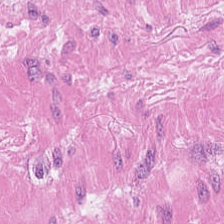Brightfield · 0.5 µm/px · hematoxylin-and-eosin stained section.
Tissue class = muscularis.
